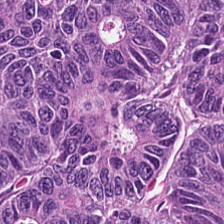Tissue: colorectal adenocarcinoma.
